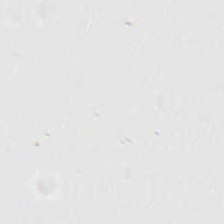Field content = no tissue.
